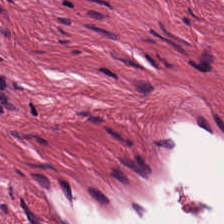Hematoxylin-and-eosin stained section.
Classification — cancer-associated stroma.
